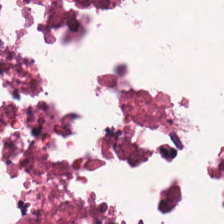H&E. Tissue class: cellular debris.
